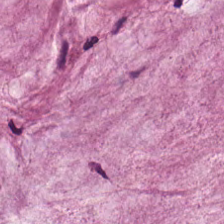H&E-stained tissue section. Classification — extracellular mucin.
